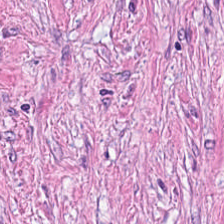H&E — cancer-associated stroma.
